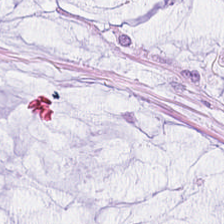224×224 pixel tile; hematoxylin and eosin.
This patch shows extracellular mucin.
